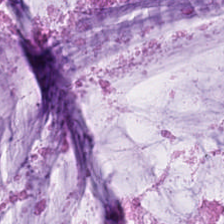Stain: H&E-stained tissue section.
Classification: extracellular mucin.
